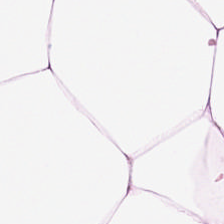Stain: hematoxylin-and-eosin stained section.
Tissue type: adipose tissue.
